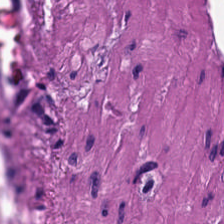Stain: hematoxylin-and-eosin stained section.
Acquisition: brightfield microscopy.
Resolution: 0.5 microns per pixel.
Tissue type: smooth muscle.
